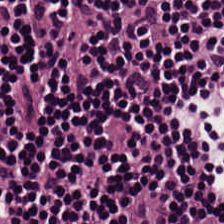H&E — The predominant tissue is lymphocytic infiltrate.
